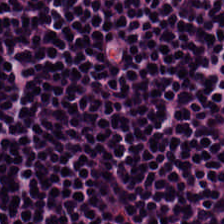224×224 px patch; brightfield; H&E. Classification: lymphocytes.
